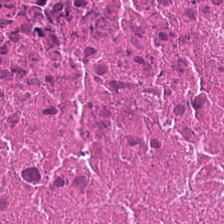20× equivalent magnification. H&E. Tissue — necrotic debris.
